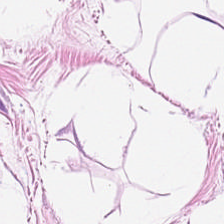H&E. Finding — fat tissue.
